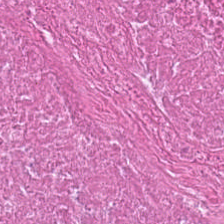H&E — Impression → necrotic debris.
